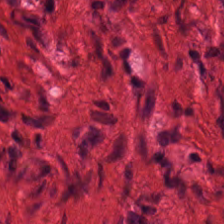224×224 px tile; H&E. The tissue is smooth muscle.
